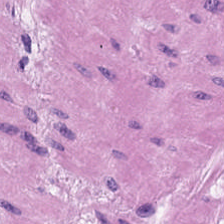0.5 µm per pixel · H&E stain · brightfield microscopy. Histology → muscularis.
